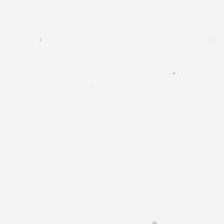H&E-stained tissue section — Empty field — no tissue.
